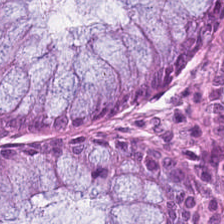H&E-stained tissue section; 0.5 microns per pixel.
Histology — non-neoplastic colon mucosa.
